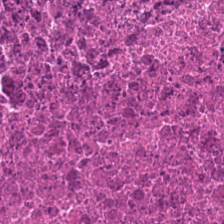Histology → necrotic debris.
